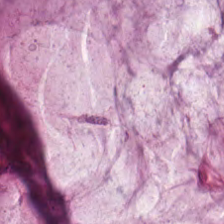Hematoxylin-and-eosin stained section. Extracellular mucin.
